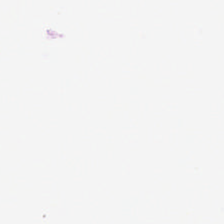FFPE tissue section; hematoxylin and eosin.
No tissue present; background only.
